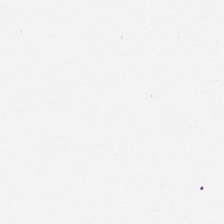Brightfield. 224×224 pixel tile. Hematoxylin and eosin.
Empty field — no tissue.
